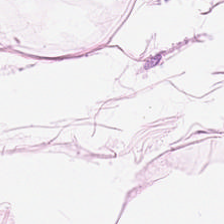Tissue type — adipose tissue.
